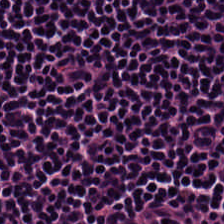H&E stain. Lymphoid infiltrate.
